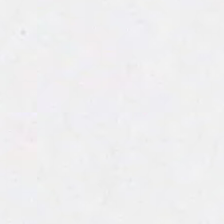Q: What is shown in this field?
A: Empty background.
